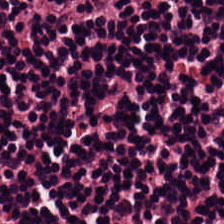H&E-stained tissue section — Predominantly lymphocytes.
